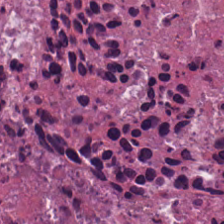Hematoxylin and eosin.
This field is debris.
